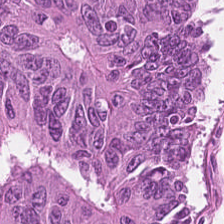H&E; formalin-fixed paraffin-embedded section — Q: What is shown here?
A: This is malignant epithelium.
